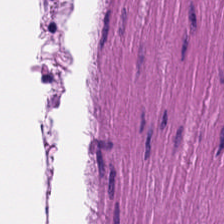Hematoxylin and eosin · 224×224 px tile.
This patch shows smooth-muscle tissue.
